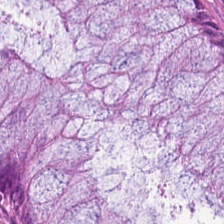Predominant tissue: benign colonic mucosa.
